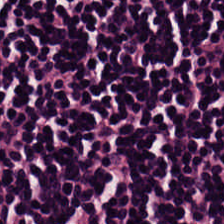Q: Classify this patch.
A: It is lymphocytic infiltrate.
